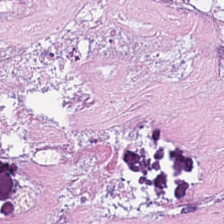Hematoxylin-and-eosin stained section.
Impression → cellular debris.
